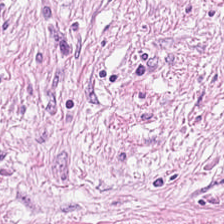Stain: H&E-stained tissue section.
Classification: tumor stroma.
